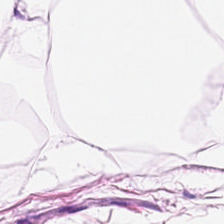H&E; WSI patch — Q: What is shown in this field?
A: It is fat tissue.
